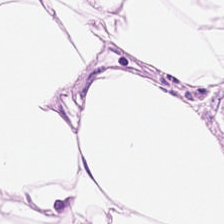H&E-stained tissue section.
Tissue type — adipose tissue.
